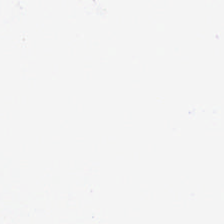Hematoxylin-and-eosin stained section. Whole-slide-image patch — Finding — empty background.
